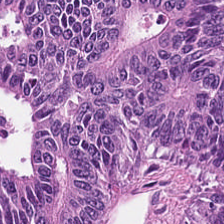Hematoxylin-and-eosin stained section.
Q: Identify the tissue.
A: Adenocarcinoma.
